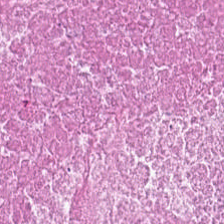The tissue here is necrotic debris.
